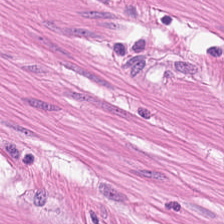Tissue: smooth-muscle tissue.
